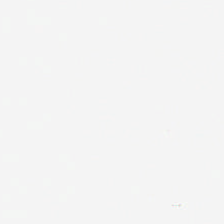H&E — Impression — no tissue.
